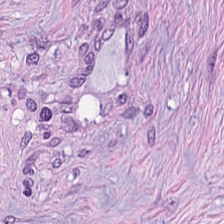H&E-stained tissue section; whole-slide-image patch — Histology → tumor stroma.
